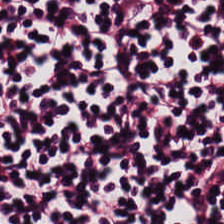Formalin-fixed paraffin-embedded section. WSI patch. Hematoxylin-and-eosin stained section. The tissue here is lymphocytic infiltrate.
